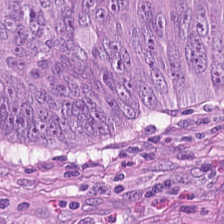H&E stain. 0.5 µm per pixel — Showing tumor epithelium.
